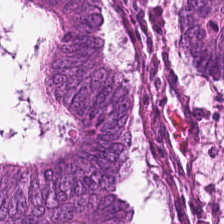Hematoxylin-and-eosin stained section. Colorectal adenocarcinoma epithelium.
